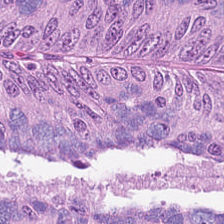0.5 µm per pixel · H&E-stained tissue section. {"tissue_type": "colorectal adenocarcinoma"}
